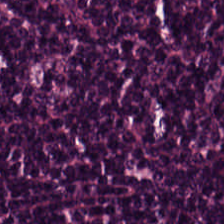Q: What tissue type is shown here?
A: It is lymphoid infiltrate.
